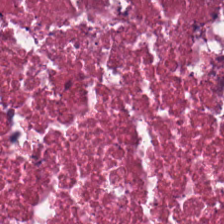H&E stain · FFPE tissue section.
Showing cellular debris.
